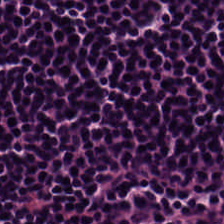Hematoxylin and eosin · 0.5 µm per pixel — Q: Identify the tissue.
A: It is lymphocytes.
